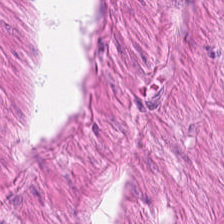Stain: hematoxylin and eosin.
Predominant tissue: smooth muscle.
